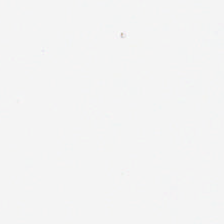Hematoxylin-and-eosin stained section. The classification is no tissue.
